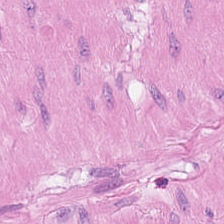0.5 microns per pixel; H&E. The predominant tissue is muscularis.
